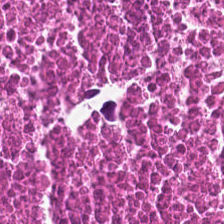Hematoxylin and eosin.
The predominant tissue is debris.
